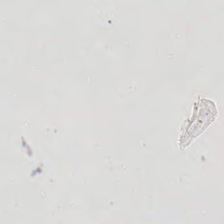Hematoxylin and eosin. Impression — background (no tissue).
